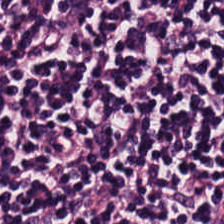Hematoxylin and eosin · formalin-fixed paraffin-embedded section · WSI patch.
Predominant tissue — lymphocyte aggregate.
